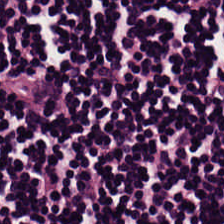Tissue type: lymphocytic infiltrate.
